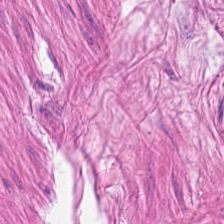{"tissue_type": "smooth muscle"}
